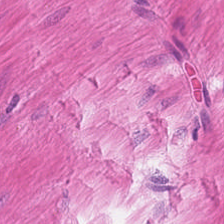Stain: hematoxylin-and-eosin stained section.
Tissue type: smooth-muscle tissue.
